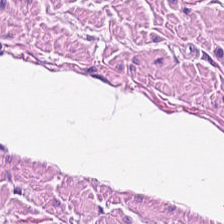Whole-slide-image patch; 224×224 px patch; H&E.
Q: What is shown here?
A: The field shows smooth-muscle tissue.
